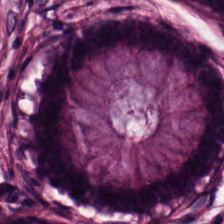Finding → non-neoplastic colon mucosa.
